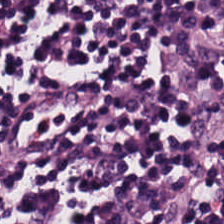Brightfield microscopy; hematoxylin-and-eosin stained section; formalin-fixed paraffin-embedded section — This patch shows lymphoid infiltrate.
